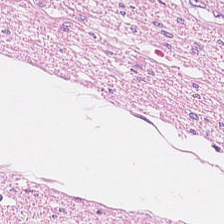Finding — smooth muscle.
